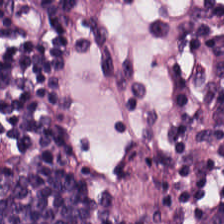224×224 px patch; hematoxylin and eosin. Histology — lymphocytes.
